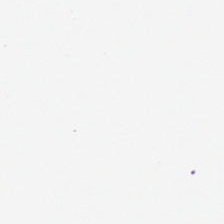H&E-stained tissue section. Histology — background (no tissue).
